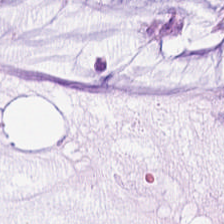H&E-stained tissue section.
Q: Classify this patch.
A: This is extracellular mucin.
